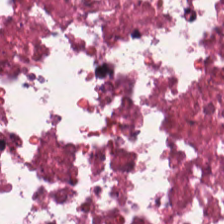Tissue = necrotic debris.
